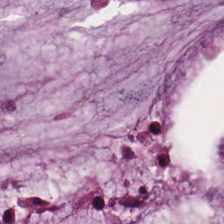Hematoxylin and eosin. The tissue type is extracellular mucin.
